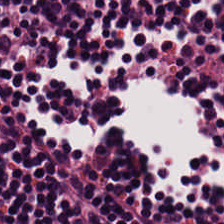Hematoxylin-and-eosin stained section; brightfield. The tissue is lymphocytic infiltrate.
